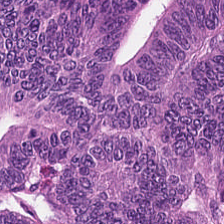224×224 pixel tile · H&E · 20× equivalent magnification.
Showing adenocarcinoma.
